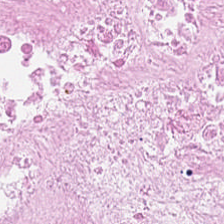Stain: H&E stain.
Tissue: debris.
